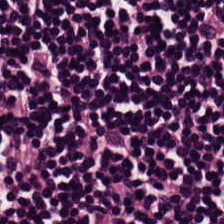Hematoxylin and eosin — Tissue: lymphocytic infiltrate.
